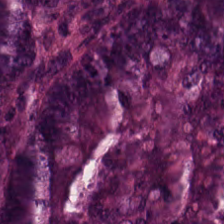Hematoxylin-and-eosin stained section.
Predominantly colorectal adenocarcinoma.
